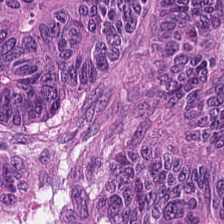H&E-stained tissue section — {"tissue_type": "colorectal adenocarcinoma"}
